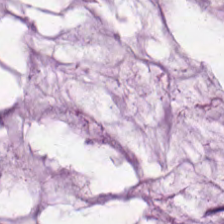H&E patch showing mucin.
